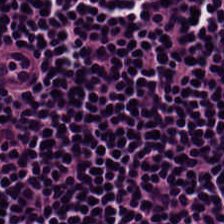224×224 px patch. H&E-stained tissue section. The predominant tissue is lymphocytes.
